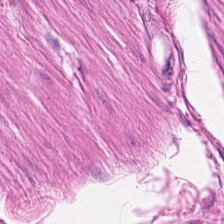Hematoxylin-and-eosin stained section.
Tissue class = smooth-muscle tissue.
